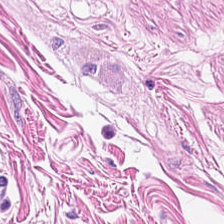Hematoxylin-and-eosin stained section. Tissue type — smooth-muscle tissue.
